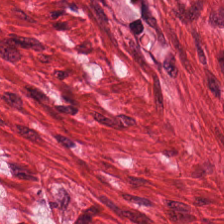The classification is smooth muscle.
